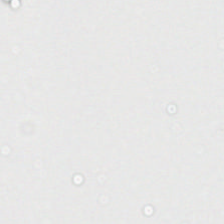Stain: hematoxylin-and-eosin stained section.
Tile size: 224×224 pixel tile.
Classification: background.
